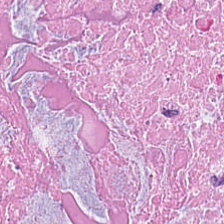This patch shows necrotic debris.
